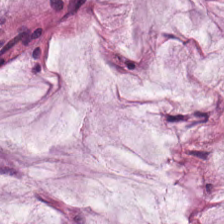Q: What tissue type is shown here?
A: It is mucin.
